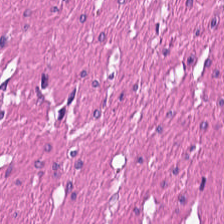This patch shows muscularis.
